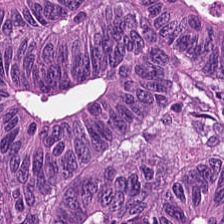H&E · FFPE tissue section · 0.5 microns per pixel. The tissue here is colorectal adenocarcinoma.
